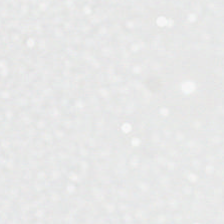H&E-stained tissue section.
Background — no tissue in this field.
